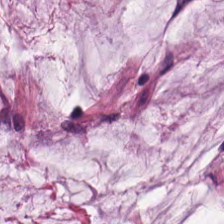H&E stain.
Showing mucus.
